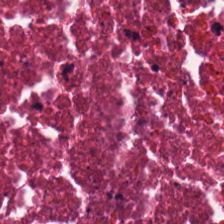H&E stain. Histology → cellular debris.
